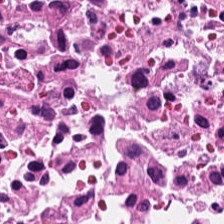H&E stain. Q: Identify the tissue.
A: The field shows debris.
